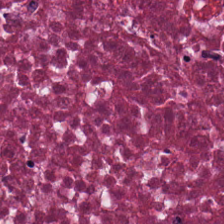Hematoxylin-and-eosin stained section. {"tissue_type": "cellular debris"}
